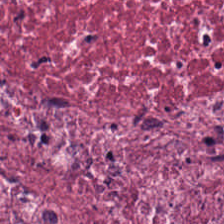Brightfield; H&E.
The tissue here is tumor stroma.
